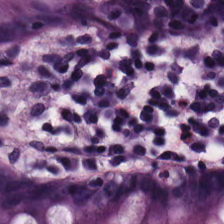Stain: H&E stain.
Tissue class: benign colonic mucosa.
